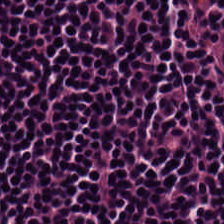Stain: H&E.
Tissue: lymphocytic infiltrate.
